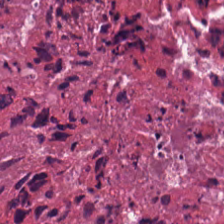H&E-stained tissue section. 0.5 µm/px. 224×224 pixel tile. Q: What type of tissue is this?
A: This is debris.
